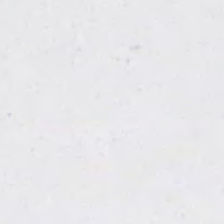0.5 µm/px; H&E stain — Classification — background (no tissue).
